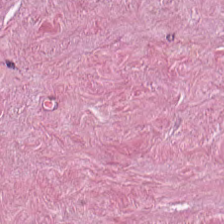0.5 microns per pixel; H&E-stained tissue section; whole-slide-image patch — Q: What is the predominant tissue type?
A: This is desmoplastic stroma.
